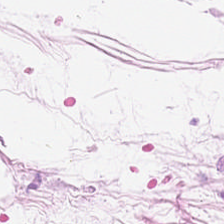WSI patch. Hematoxylin-and-eosin stained section — Predominantly adipose tissue.
